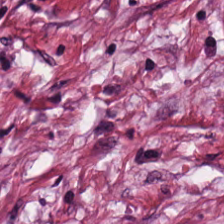Tissue type — tumor-associated stroma.
